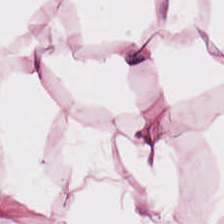Hematoxylin-and-eosin stained section. Formalin-fixed paraffin-embedded section — Histology → adipocytes.
